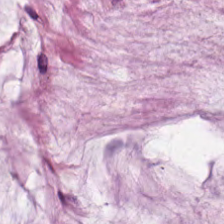H&E-stained tissue section showing extracellular mucin.
